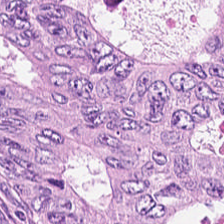Stain: hematoxylin and eosin.
Tissue type: colorectal adenocarcinoma.
